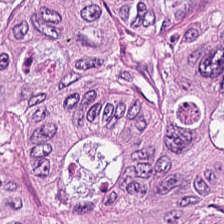Hematoxylin and eosin. Predominantly colorectal adenocarcinoma epithelium.
